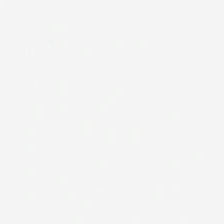Formalin-fixed paraffin-embedded section · H&E-stained tissue section · 0.5 µm per pixel — Q: What does this patch show?
A: No tissue.
